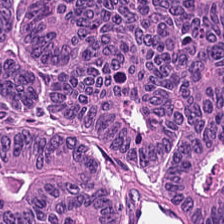20× equivalent magnification · FFPE tissue section · H&E. Q: What is the predominant tissue type?
A: Colorectal adenocarcinoma epithelium.
